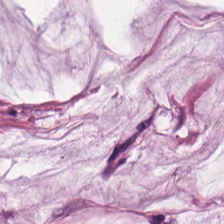H&E-stained tissue section showing extracellular mucin.
